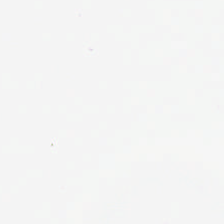20× equivalent magnification. Hematoxylin and eosin. Field content — background (no tissue).
